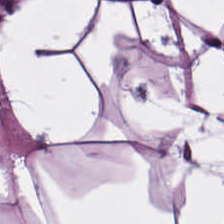Formalin-fixed paraffin-embedded section; H&E stain; 0.5 µm per pixel — The tissue class is adipose tissue.
